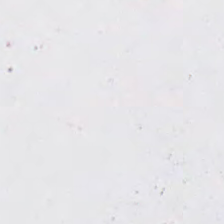Stain: hematoxylin and eosin.
Field content: background.
